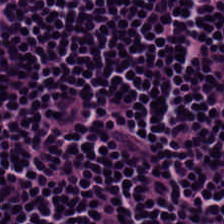H&E stain. Showing lymphocyte aggregate.
